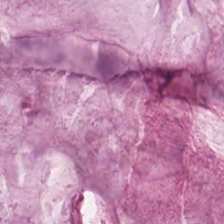Hematoxylin and eosin — Predominantly mucin.
